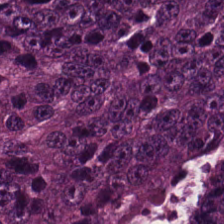Q: What is the predominant tissue type?
A: This is colorectal adenocarcinoma.
